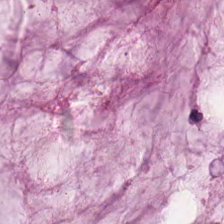H&E stain — Showing extracellular mucin.
